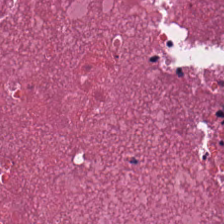WSI patch. H&E-stained tissue section. Predominantly necrotic debris.
